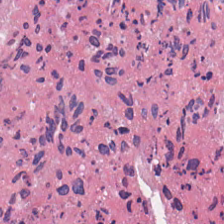H&E-stained tissue section.
Tissue type: debris.
